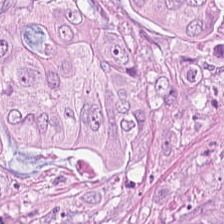FFPE tissue section · H&E. Tissue = adenocarcinoma.
